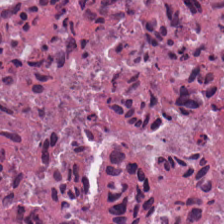Hematoxylin and eosin. 0.5 µm/px. FFPE — Showing debris.
